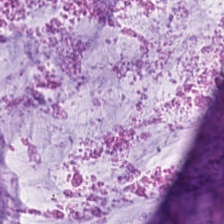224×224 px tile · hematoxylin and eosin — Classification — extracellular mucin.
